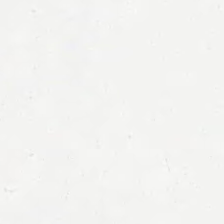FFPE tissue section; H&E; brightfield microscopy — Finding — background.
